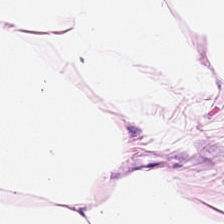Hematoxylin and eosin — Showing fat tissue.
